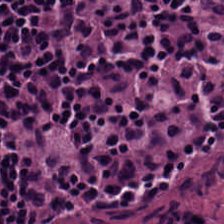Hematoxylin-and-eosin stained section · 0.5 µm per pixel.
Tissue type = lymphoid infiltrate.
